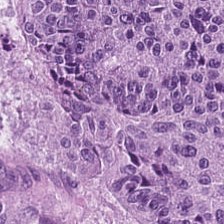Hematoxylin and eosin · 224×224 px tile · brightfield. Q: What does this patch show?
A: It is adenocarcinoma.
